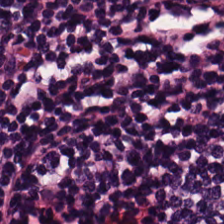H&E — Predominant tissue: lymphocytic infiltrate.
